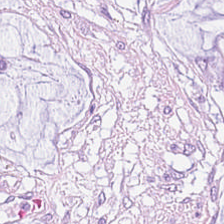H&E-stained tissue section.
Tissue class — mucin.
